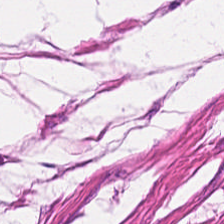This patch shows smooth-muscle tissue.
